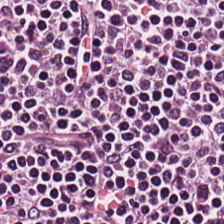224×224 px patch · H&E stain · WSI patch. Lymphocyte aggregate.
